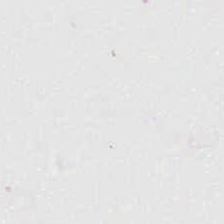Field content = background.
